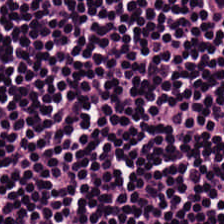Hematoxylin-and-eosin stained section; 0.5 microns per pixel.
The tissue here is lymphocyte aggregate.
